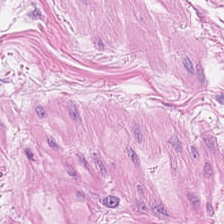Finding — smooth muscle.
